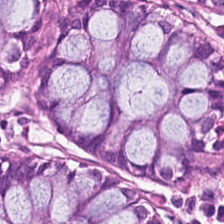Brightfield microscopy. H&E. FFPE tissue section.
Histology → normal colon mucosa.
